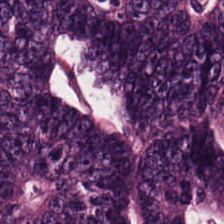Hematoxylin and eosin · formalin-fixed paraffin-embedded section — The predominant tissue is colorectal adenocarcinoma.
